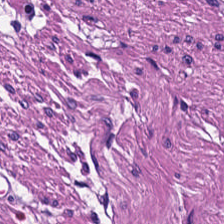Predominant tissue — muscularis.
